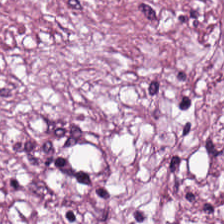Stain: H&E-stained tissue section.
Preparation: formalin-fixed paraffin-embedded section.
Resolution: 0.5 µm/px.
Predominant tissue: tumor stroma.
